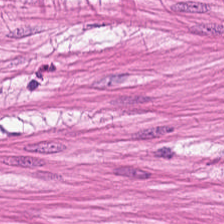Hematoxylin and eosin — Predominantly muscularis.
